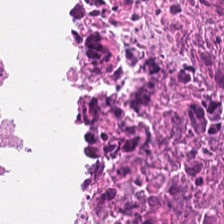Q: Identify the tissue.
A: The field shows cellular debris.
